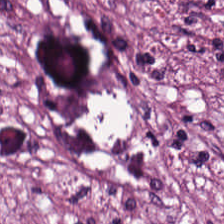H&E — tumor stroma.
